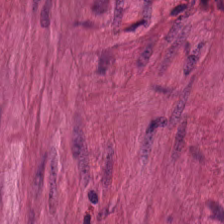H&E-stained tissue section.
Histology — muscularis.
